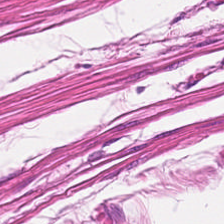Q: What tissue type is shown here?
A: This is smooth muscle.
